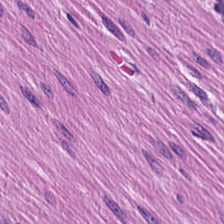224×224 px patch · hematoxylin and eosin — This field is smooth muscle.
